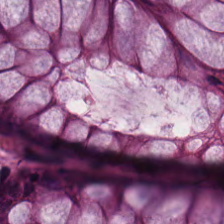H&E-stained tissue section.
Q: What type of tissue is this?
A: Normal colon mucosa.
